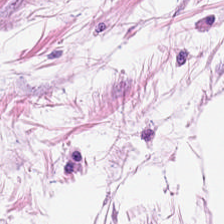Stain: hematoxylin-and-eosin stained section.
Preparation: FFPE.
Tile size: 224×224 px patch.
Classification: adipose tissue.
